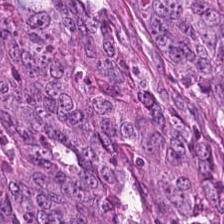H&E stain.
{"tissue_type": "colorectal adenocarcinoma"}
